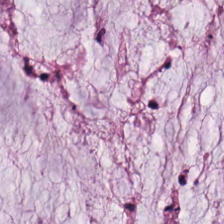Hematoxylin-and-eosin stained section — Classification = mucus.
